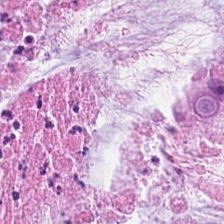Stain: hematoxylin and eosin.
Tile size: 224×224 pixel tile.
Acquisition: brightfield microscopy.
Tissue: mucus.
